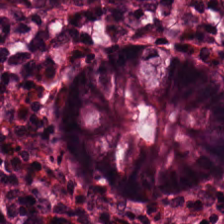H&E stain. {"tissue_type": "normal colon mucosa"}
